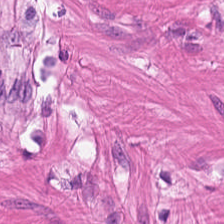This patch shows smooth muscle.
